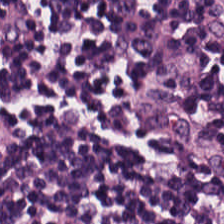Hematoxylin-and-eosin stained section; brightfield — Classification: lymphoid infiltrate.
